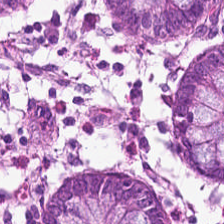H&E-stained tissue section. 0.5 µm per pixel — The tissue here is normal colon mucosa.
